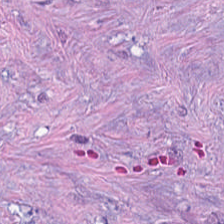H&E. The tissue here is tumor stroma.
